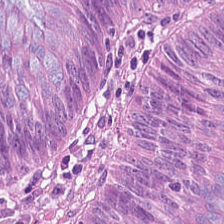Predominant tissue — adenocarcinoma.
